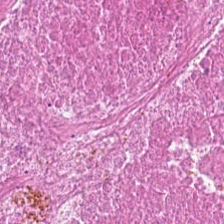H&E-stained tissue section · 20× equivalent magnification.
Q: What tissue is shown?
A: Debris.
